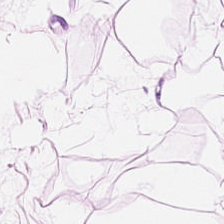Whole-slide-image patch; hematoxylin-and-eosin stained section; FFPE tissue section — Predominantly fat tissue.
